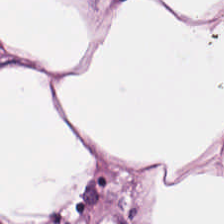Hematoxylin-and-eosin stained section.
The tissue here is adipocytes.
